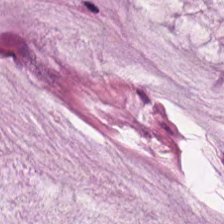224×224 px patch · 0.5 µm per pixel · H&E-stained tissue section. Predominantly mucus.
